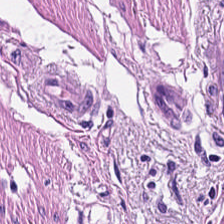H&E stain. This patch shows smooth-muscle tissue.
